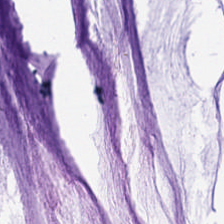This patch shows mucin.
